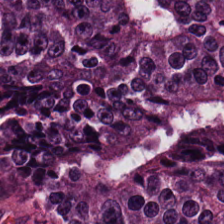Hematoxylin-and-eosin stained section — Q: What is shown here?
A: Colorectal adenocarcinoma.
